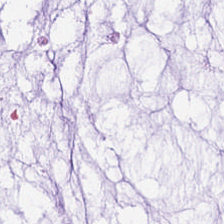Whole-slide-image patch. H&E-stained tissue section. Formalin-fixed paraffin-embedded section — Tissue class = mucus.
